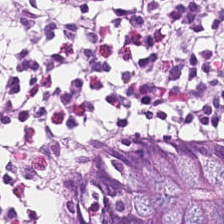Tissue: normal colonic mucosa.
